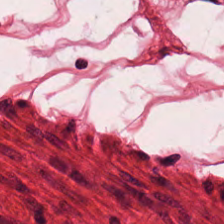Stain: H&E.
Tile size: 224×224 px tile.
Preparation: FFPE tissue section.
Tissue: muscularis.
